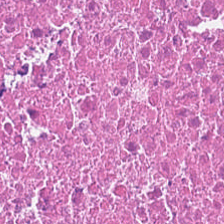Hematoxylin-and-eosin stained section. The predominant tissue is cellular debris.
